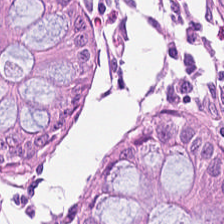Q: Identify the tissue.
A: It is normal colonic mucosa.
